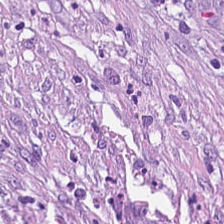FFPE tissue section · hematoxylin and eosin — Q: What type of tissue is this?
A: This is tumor-associated stroma.
